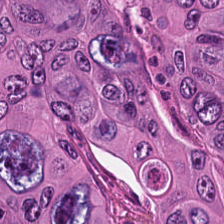Stain: hematoxylin-and-eosin stained section.
Preparation: FFPE tissue section.
Resolution: 0.5 µm/px.
Predominant tissue: tumor epithelium.
